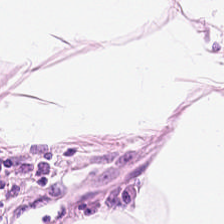H&E. 0.5 µm/px. {"tissue_type": "adipocytes"}
